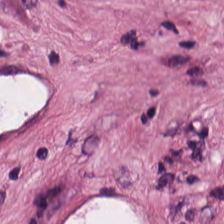Impression → desmoplastic stroma.
